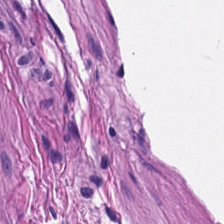Hematoxylin-and-eosin stained section. Brightfield. Formalin-fixed paraffin-embedded section — Q: What tissue type is shown here?
A: It is smooth muscle.
